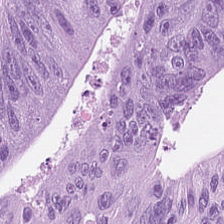Stain: H&E.
Predominant tissue: adenocarcinoma.
